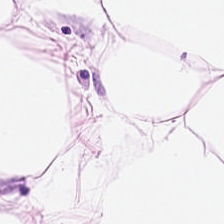Q: What is shown in this field?
A: This is fat tissue.
